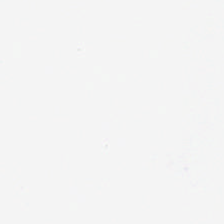Brightfield microscopy · H&E stain. No tissue.
